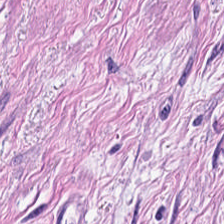H&E.
Finding — muscularis.
